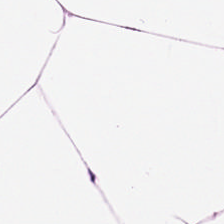Histology → adipocytes.
